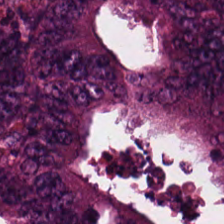FFPE tissue section. Hematoxylin and eosin.
This field is tumor epithelium.
